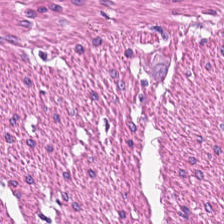Q: What type of tissue is this?
A: It is smooth muscle.
